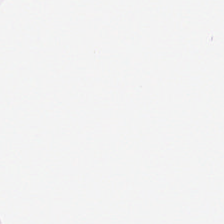Hematoxylin-and-eosin stained section. Impression → adipocytes.
